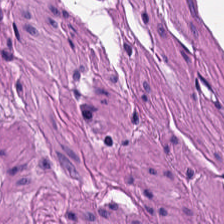Showing smooth-muscle tissue.
